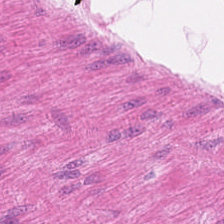Hematoxylin-and-eosin stained section.
Smooth muscle.
